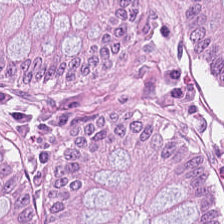Classification — benign colonic mucosa.
